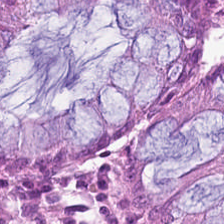H&E stain.
Predominantly non-neoplastic colon mucosa.
